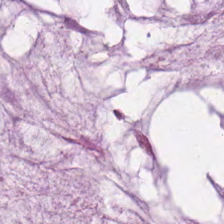H&E.
This patch shows extracellular mucin.
